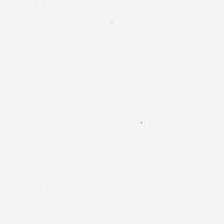H&E. 224×224 pixel tile. Brightfield — Empty field — no tissue.
